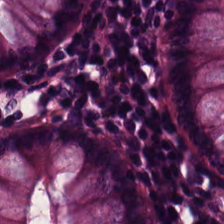Stain: H&E stain.
Acquisition: WSI patch.
Preparation: formalin-fixed paraffin-embedded section.
Tissue type: benign colonic mucosa.
